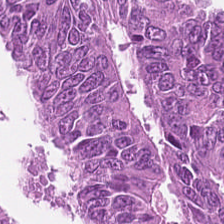H&E-stained tissue section. The tissue type is tumor epithelium.
